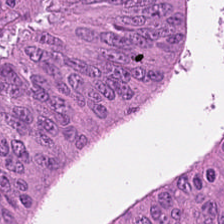This field is malignant epithelium.
